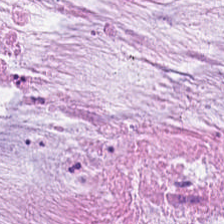Predominant tissue — mucin.
